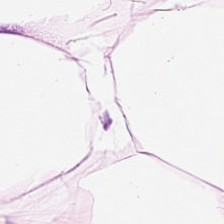Brightfield. Hematoxylin-and-eosin stained section.
{"tissue_type": "adipose"}
